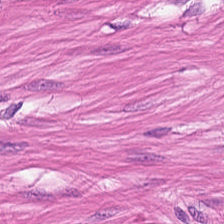Predominant tissue: smooth muscle.
